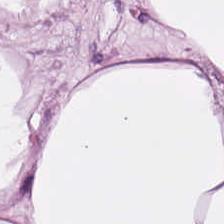H&E-stained tissue section — Tissue type = adipose.
